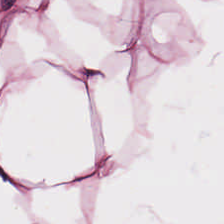Stain: hematoxylin and eosin.
Tissue: adipocytes.
